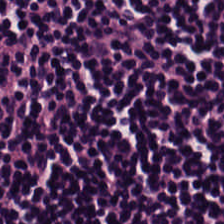Hematoxylin-and-eosin stained section. FFPE tissue section — Tissue — lymphocytes.
